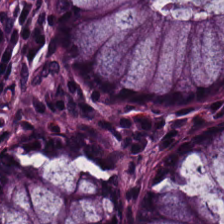H&E-stained section; the field shows normal colon mucosa.
